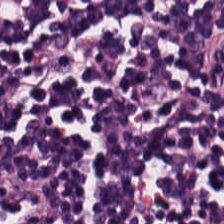Hematoxylin and eosin.
The predominant tissue is lymphocyte aggregate.
